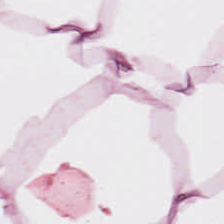H&E-stained tissue section; 224×224 px tile. Tissue: adipose tissue.
